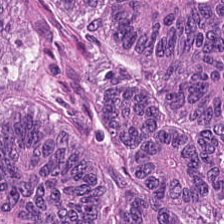H&E-stained tissue section. The tissue here is colorectal adenocarcinoma.
